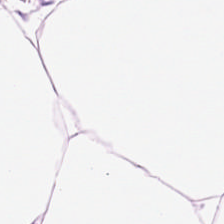H&E stain.
Tissue class — adipocytes.
